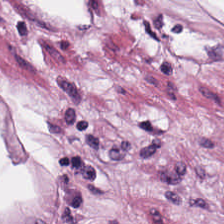H&E stain — Predominantly adipose tissue.
